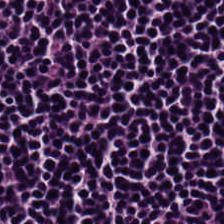Hematoxylin and eosin. Tissue type = lymphocytes.
